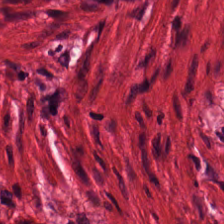FFPE; hematoxylin-and-eosin stained section.
Predominantly muscularis.
